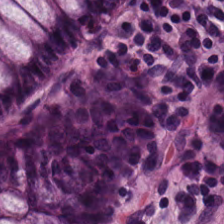Hematoxylin and eosin. FFPE tissue section — This patch shows non-neoplastic colon mucosa.
